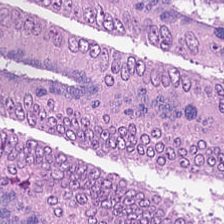Stain: H&E stain.
Acquisition: brightfield microscopy.
Preparation: FFPE.
Tissue class: colorectal adenocarcinoma epithelium.
